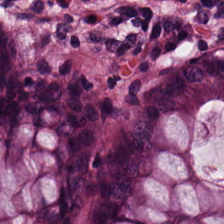H&E-stained tissue section · 0.5 µm per pixel.
This patch shows benign colonic mucosa.
